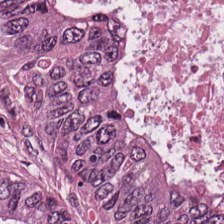H&E. Classification — colorectal adenocarcinoma.
